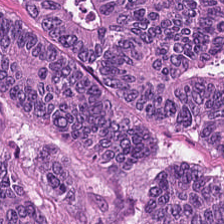The predominant tissue is adenocarcinoma.
